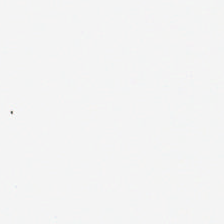H&E. Content: background (no tissue).
